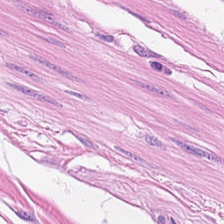Stain: H&E.
Resolution: 0.5 µm/px.
Preparation: FFPE.
Tissue class: smooth muscle.
